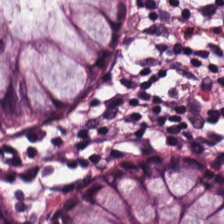H&E · brightfield.
Tissue — benign colonic mucosa.
